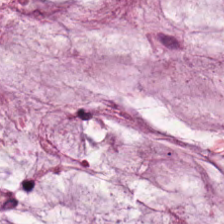H&E stain. 0.5 µm per pixel.
Finding — mucus.
